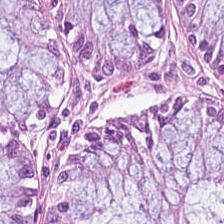Q: What tissue is shown?
A: The field shows normal colonic mucosa.
